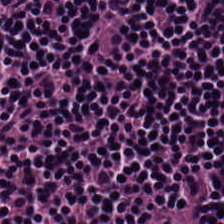Q: What does this patch show?
A: It is lymphocytic infiltrate.
